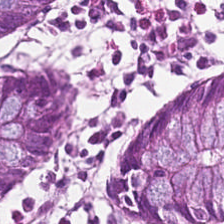H&E stain. The predominant tissue is benign colonic mucosa.
